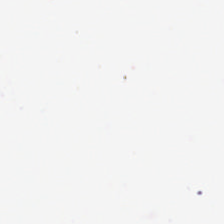H&E · FFPE.
This field is background (no tissue).
